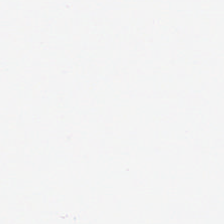H&E-stained tissue section. 0.5 microns per pixel. 224×224 px patch.
Classification: empty background.
